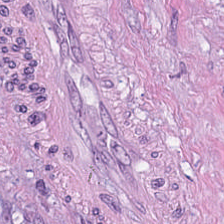Histology — cancer-associated stroma.
